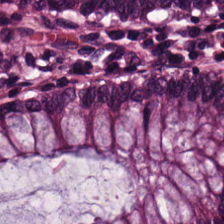Brightfield microscopy. 224×224 px tile. Hematoxylin-and-eosin stained section.
This patch shows non-neoplastic colon mucosa.
